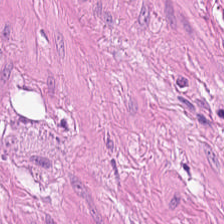Hematoxylin-and-eosin stained section; 224×224 px patch — The classification is smooth-muscle tissue.
